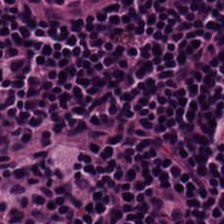Histology → lymphocytes.
